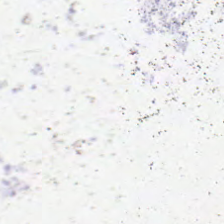Formalin-fixed paraffin-embedded section · hematoxylin-and-eosin stained section — Q: Classify this patch.
A: The field shows background (no tissue).
